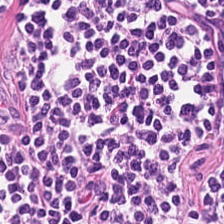H&E stain.
{"tissue_type": "lymphocytic infiltrate"}
